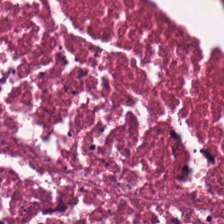H&E-stained tissue section. The predominant tissue is cellular debris.
